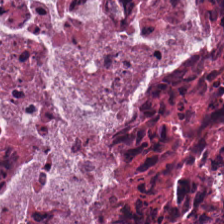{"tissue_type": "cellular debris"}
